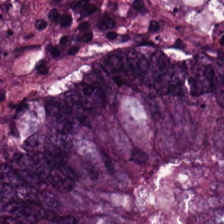Whole-slide-image patch · 0.5 µm/px · hematoxylin and eosin — Malignant epithelium.
